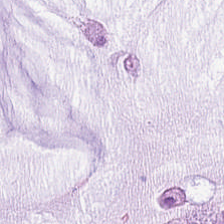Impression — mucin.
